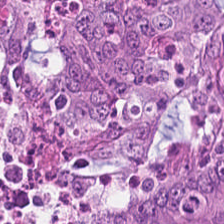H&E — Predominantly tumor epithelium.
